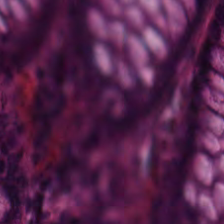H&E.
This patch shows benign colonic mucosa.
